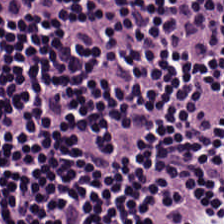224×224 px tile; H&E stain. Q: What tissue is shown?
A: The field shows lymphocytes.
